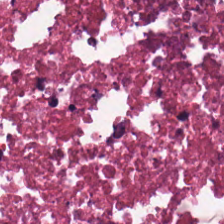Q: What is shown in this field?
A: This is cellular debris.
